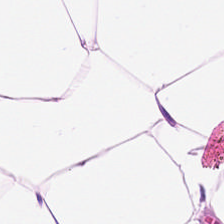H&E-stained tissue section. Q: What tissue type is shown here?
A: The field shows adipose.
